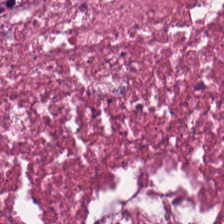{"tissue_type": "cellular debris"}
